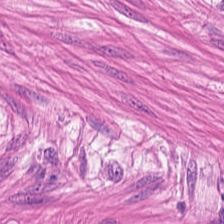Stain: hematoxylin-and-eosin stained section.
Tissue: smooth-muscle tissue.
